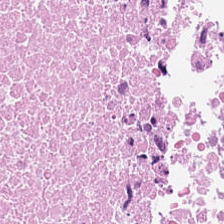Tissue class — debris.
